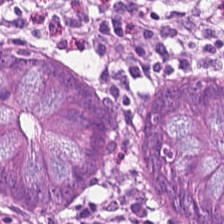Hematoxylin and eosin · whole-slide-image patch. This field is normal colon mucosa.
